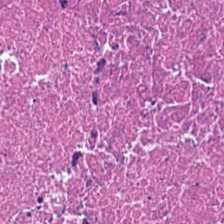Q: What does this patch show?
A: Necrotic debris.
